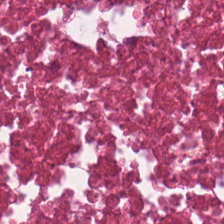Formalin-fixed paraffin-embedded section · hematoxylin-and-eosin stained section — The classification is necrotic debris.
